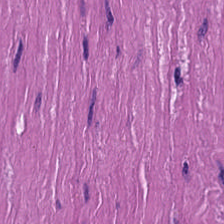Hematoxylin and eosin — This field is smooth-muscle tissue.
